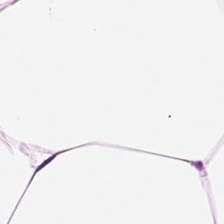224×224 px patch · hematoxylin and eosin. Predominant tissue = adipose.
